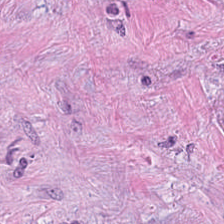Stain: H&E-stained tissue section.
Acquisition: brightfield.
Tissue type: desmoplastic stroma.
